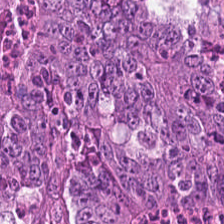Hematoxylin and eosin. Q: What tissue type is shown here?
A: It is malignant epithelium.
